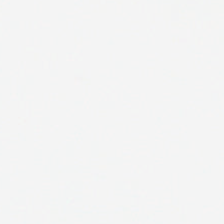Hematoxylin and eosin. {"content": "background"}
